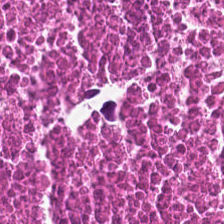H&E stain. Histology → cellular debris.
